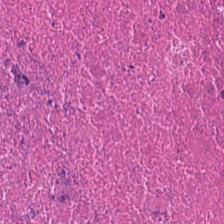H&E; 224×224 px patch. This field is cellular debris.
